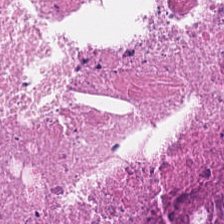H&E patch showing cellular debris.
